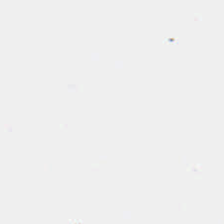224×224 px patch. Hematoxylin-and-eosin stained section — Content: background.
